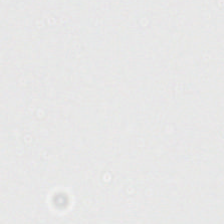H&E stain. 224×224 px tile. Field content — empty background.
